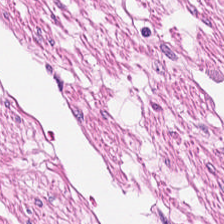Hematoxylin-and-eosin stained section — Tissue class = muscularis.
